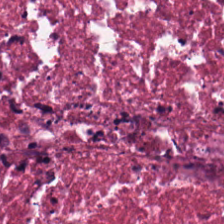FFPE tissue section. 224×224 pixel tile. H&E stain.
Histology → debris.
